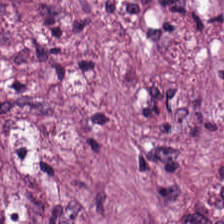H&E stain · 224×224 px patch · formalin-fixed paraffin-embedded section — This patch shows tumor stroma.
